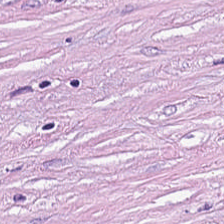H&E · brightfield. The predominant tissue is tumor stroma.
